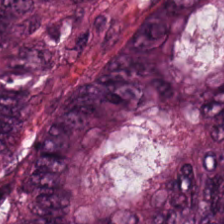FFPE tissue section · hematoxylin-and-eosin stained section — Extracellular mucin.
